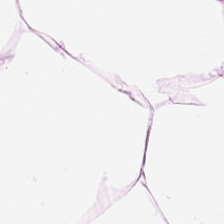H&E. WSI patch.
This patch shows adipose tissue.
